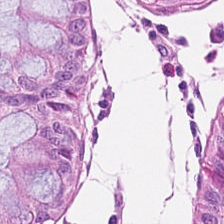H&E; FFPE.
{"tissue_type": "normal colon mucosa"}
